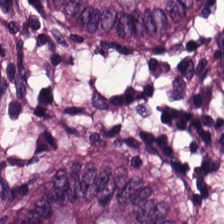The tissue is normal colonic mucosa.
